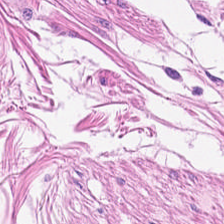224×224 pixel tile · hematoxylin and eosin — The tissue class is smooth-muscle tissue.
